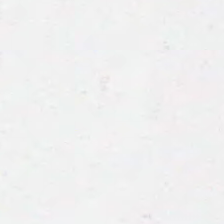H&E stain — Finding → background.
